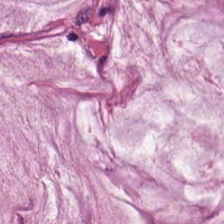H&E-stained section; the field shows mucin.
